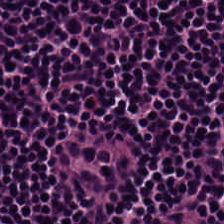Lymphoid infiltrate.
